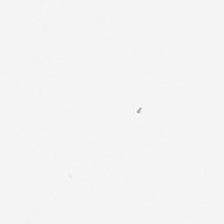H&E stain — Q: What is shown here?
A: It is background (no tissue).
